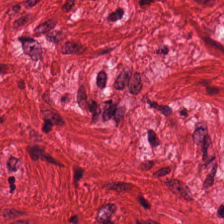Q: What does this patch show?
A: The field shows muscularis.
